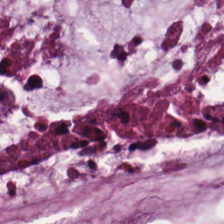H&E; 0.5 µm/px — This patch shows mucus.
